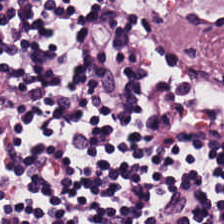0.5 µm/px; hematoxylin and eosin — Lymphocytes.
